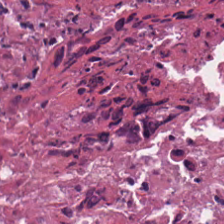FFPE tissue section; hematoxylin-and-eosin stained section.
This field is necrotic debris.
